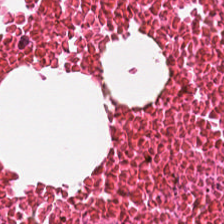Stain: H&E.
Acquisition: WSI patch.
Predominant tissue: debris.
